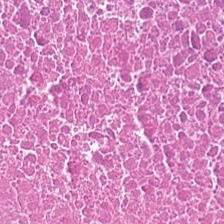H&E; whole-slide-image patch; FFPE tissue section — Q: What tissue is shown?
A: It is cellular debris.
